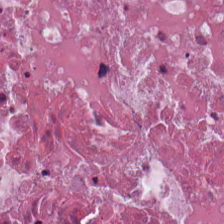Tissue = necrotic debris.
